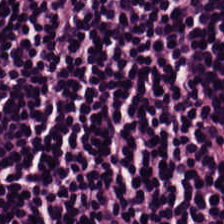Predominant tissue — lymphocytes.
